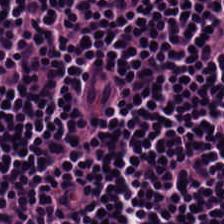WSI patch · H&E-stained tissue section — The predominant tissue is lymphocyte aggregate.
